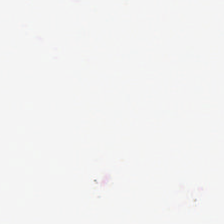Q: Classify this patch.
A: The field shows background (no tissue).
